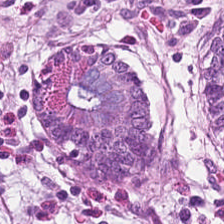H&E.
Impression → non-neoplastic colon mucosa.
